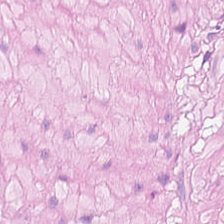H&E stain; 20× equivalent magnification. Predominant tissue = smooth-muscle tissue.
